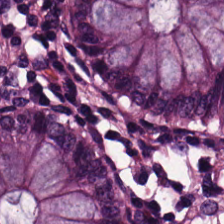H&E stain. 0.5 µm per pixel. Impression → normal colonic mucosa.
